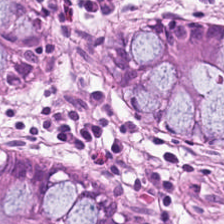Brightfield microscopy · hematoxylin-and-eosin stained section — Showing benign colonic mucosa.
